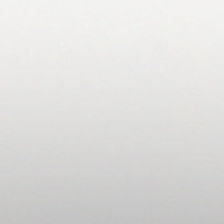H&E stain · FFPE. Impression — no tissue.
